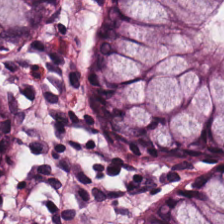0.5 µm per pixel; hematoxylin-and-eosin stained section — The classification is benign colonic mucosa.
